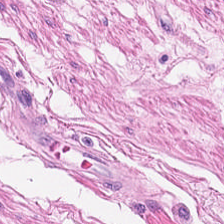This field is muscularis.
